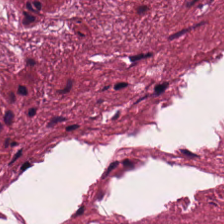The predominant tissue is tumor stroma.
